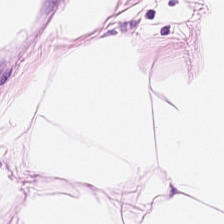H&E-stained tissue section.
Adipose.
